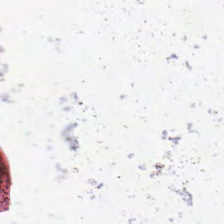H&E stain — Background — no tissue in this field.
